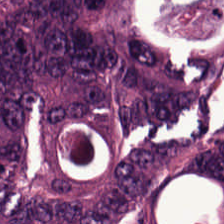Classification — malignant epithelium.
